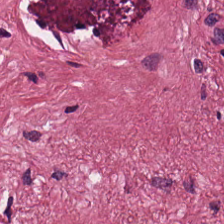Predominant tissue: tumor stroma.
